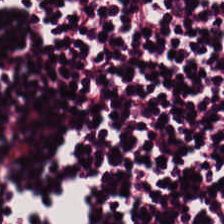H&E-stained tissue section. Q: Classify this patch.
A: The field shows lymphocytes.
